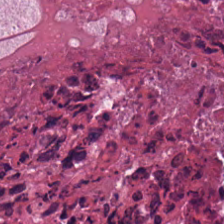H&E-stained tissue section; 0.5 µm/px. The predominant tissue is necrotic debris.
